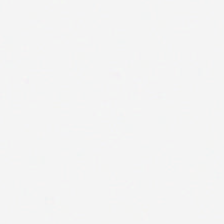H&E. Q: What is shown in this field?
A: This is empty background.
